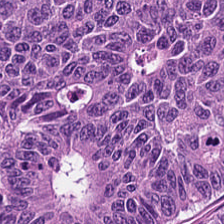Formalin-fixed paraffin-embedded section. 20× equivalent magnification. H&E-stained tissue section. Tissue type = malignant epithelium.
